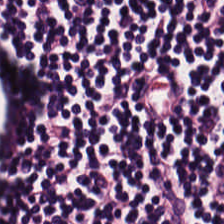WSI patch · H&E stain. The tissue here is lymphoid infiltrate.
